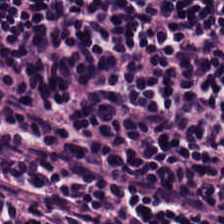FFPE. Hematoxylin-and-eosin stained section. 224×224 px tile. Q: What tissue is shown?
A: Lymphocyte aggregate.
